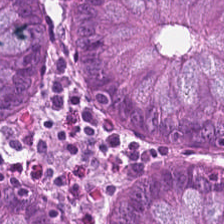H&E-stained tissue section.
The tissue type is benign colonic mucosa.
